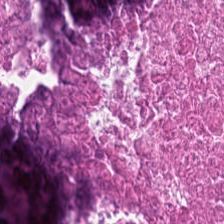Q: Identify the tissue.
A: The field shows debris.
